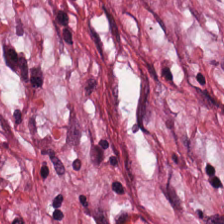Stain: H&E.
Predominant tissue: tumor stroma.
